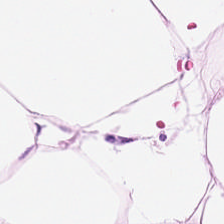H&E-stained tissue section showing adipose.
